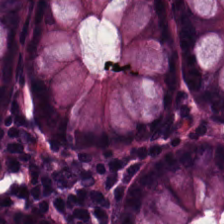FFPE tissue section · H&E · 0.5 µm per pixel — Finding — normal colonic mucosa.
